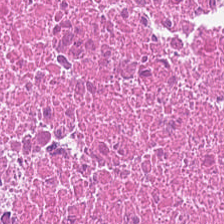Q: What does this patch show?
A: It is necrotic debris.
